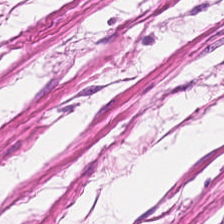Hematoxylin-and-eosin section: smooth-muscle tissue.
